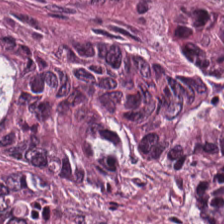H&E stain. Colorectal adenocarcinoma epithelium.
